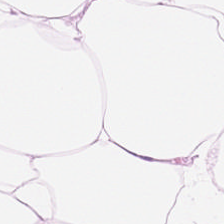H&E. Q: What tissue type is shown here?
A: This is adipocytes.
